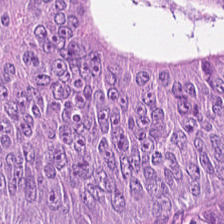Hematoxylin and eosin · FFPE — Tissue: tumor epithelium.
